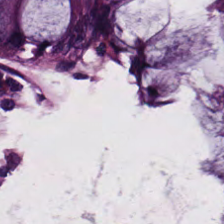H&E — normal colon mucosa.
